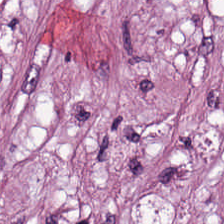The tissue type is tumor-associated stroma.
